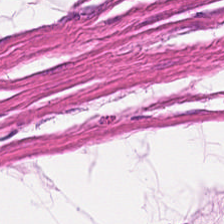Q: What is shown here?
A: It is smooth-muscle tissue.
